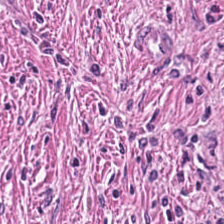H&E stain. 224×224 px patch — Finding — tumor-associated stroma.
